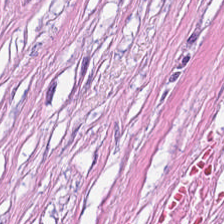Histology — cancer-associated stroma.
